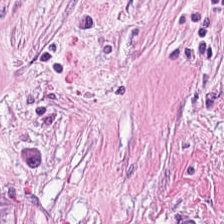0.5 microns per pixel · brightfield · hematoxylin and eosin. The predominant tissue is desmoplastic stroma.
